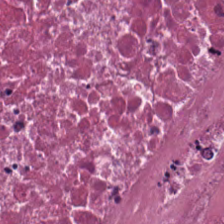The predominant tissue is cellular debris.
